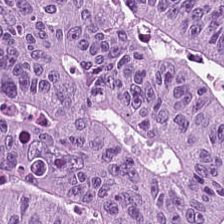The tissue class is tumor epithelium.
